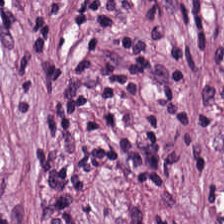Hematoxylin-and-eosin stained section. FFPE. 224×224 px tile.
The tissue here is desmoplastic stroma.
